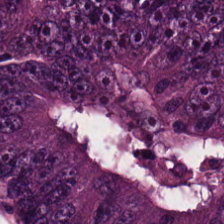Stain: H&E.
Tissue class: colorectal adenocarcinoma epithelium.
